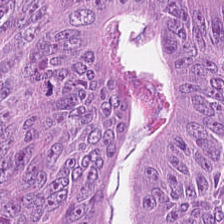H&E stain. Showing adenocarcinoma.
